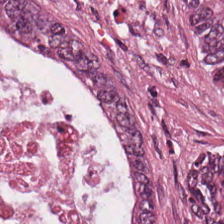H&E-stained tissue section; 224×224 px patch. Q: What tissue is shown?
A: This is colorectal adenocarcinoma.
